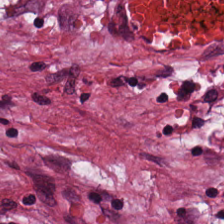H&E stain; FFPE tissue section — Finding → cancer-associated stroma.
